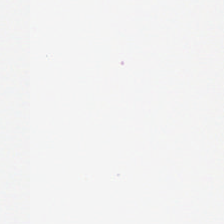H&E.
Q: What is shown in this field?
A: Background (no tissue).
